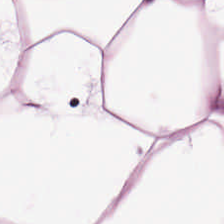Brightfield; H&E-stained tissue section.
Predominantly adipose.
